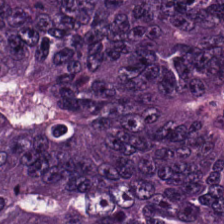Stain: hematoxylin and eosin.
Resolution: 0.5 microns per pixel.
Preparation: FFPE.
Tissue: colorectal adenocarcinoma epithelium.
